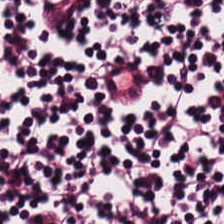Stain: hematoxylin-and-eosin stained section.
Predominant tissue: lymphocytic infiltrate.
